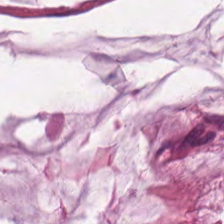Hematoxylin-and-eosin stained section.
Predominantly mucus.
